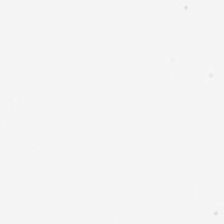H&E stain. Classification = no tissue.
